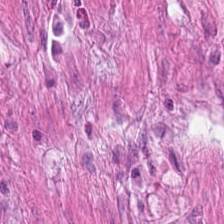H&E stain — {"tissue_type": "smooth muscle"}
